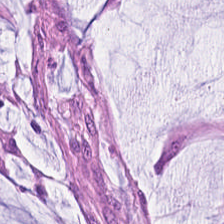Whole-slide-image patch. Formalin-fixed paraffin-embedded section. H&E-stained tissue section. The predominant tissue is mucin.
